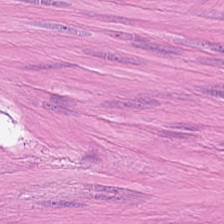FFPE · hematoxylin-and-eosin stained section.
Classification = smooth muscle.
